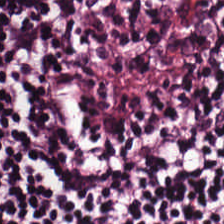Q: What tissue is shown?
A: Lymphocytes.
